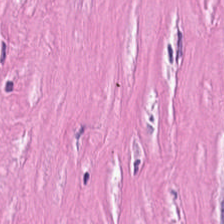H&E stain. 224×224 px patch. Q: What is shown here?
A: The field shows tumor stroma.
